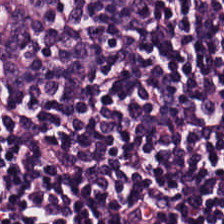224×224 pixel tile; H&E — The tissue here is lymphocyte aggregate.
